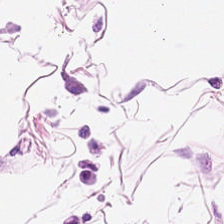Stain: H&E-stained tissue section.
Classification: adipocytes.
